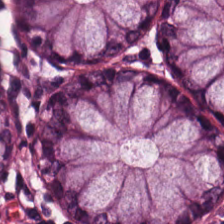Hematoxylin-and-eosin stained section.
This patch shows benign colonic mucosa.
